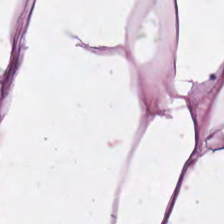0.5 microns per pixel; H&E.
Tissue class = adipose.
